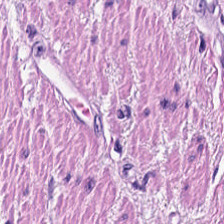H&E-stained tissue section — Impression — smooth muscle.
